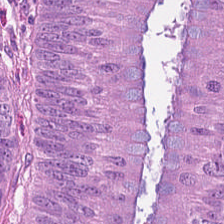H&E-stained tissue section — Finding — adenocarcinoma.
